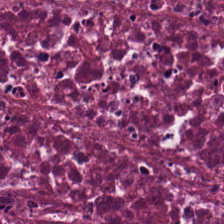H&E-stained tissue section · 224×224 pixel tile · formalin-fixed paraffin-embedded section. Q: What is the predominant tissue type?
A: This is debris.
